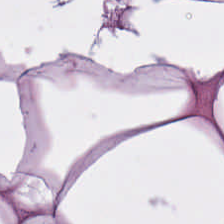H&E stain.
Showing adipose tissue.
